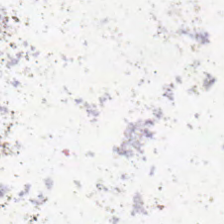Whole-slide-image patch · H&E-stained tissue section — Q: Classify this patch.
A: This is background (no tissue).
